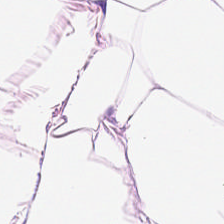Hematoxylin and eosin. This field is adipocytes.
